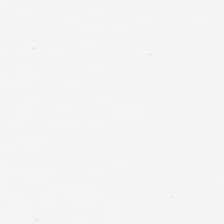Hematoxylin-and-eosin stained section · FFPE.
Background.
